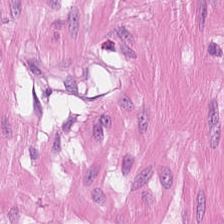H&E-stained tissue section. Tissue = smooth-muscle tissue.
